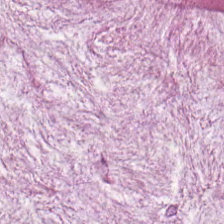Tissue type — mucus.
